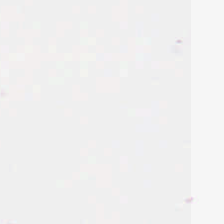Stain: H&E.
Preparation: FFPE tissue section.
Content: empty background.
